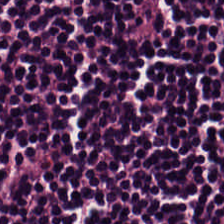H&E patch showing lymphocyte aggregate.
